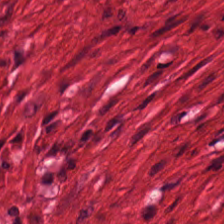H&E stain. Tissue: muscularis.
